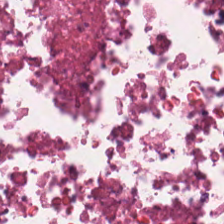Finding → cellular debris.
